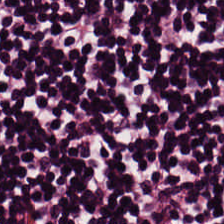224×224 pixel tile · H&E-stained tissue section. {"tissue_type": "lymphoid infiltrate"}
